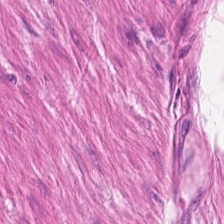Stain: H&E stain.
Classification: muscularis.
